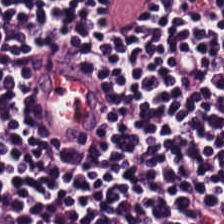Hematoxylin-and-eosin section: lymphocytes.
